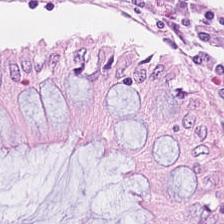H&E — normal colon mucosa.
